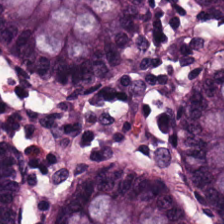Stain: H&E stain.
Predominant tissue: non-neoplastic colon mucosa.
